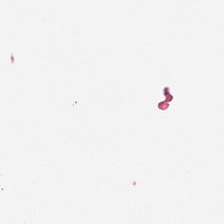FFPE. H&E-stained tissue section — Empty field — background.
